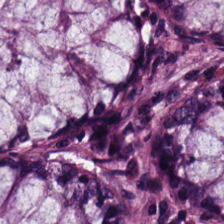H&E stain. Tissue type — benign colonic mucosa.
